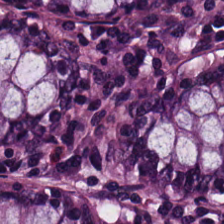H&E. Normal colon mucosa.
